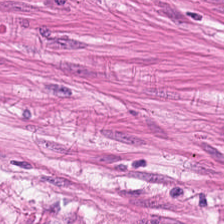Tissue — smooth-muscle tissue.
